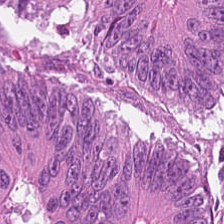Stain: H&E stain.
Acquisition: brightfield microscopy.
Resolution: 0.5 microns per pixel.
Predominant tissue: tumor epithelium.
